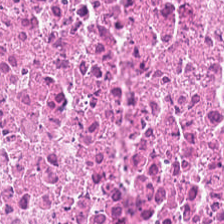H&E-stained tissue section — {"tissue_type": "cellular debris"}
